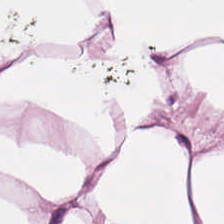Fat tissue.
